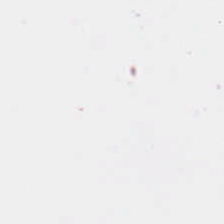H&E-stained tissue section; FFPE tissue section; 0.5 µm/px.
The field content is background.
